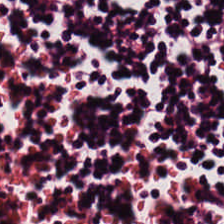Predominant tissue: lymphocytes.
